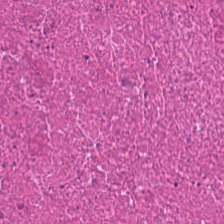H&E stain. WSI patch. 20× equivalent magnification — Classification — necrotic debris.
